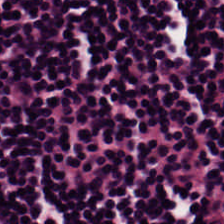H&E stain — Q: Classify this patch.
A: Lymphocytes.
